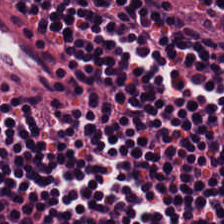Whole-slide-image patch · H&E.
Q: What does this patch show?
A: This is lymphocytes.
